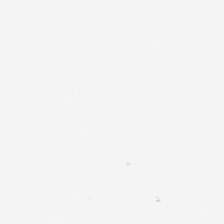Impression → empty background.
